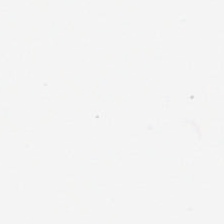H&E stain · 0.5 µm/px · 224×224 pixel tile.
The classification is no tissue.
